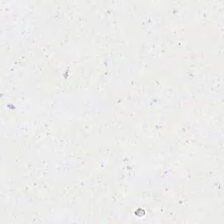H&E. Q: What is shown here?
A: Background.
